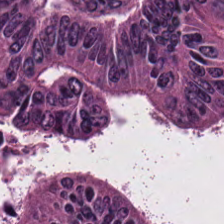H&E stain. The predominant tissue is colorectal adenocarcinoma epithelium.
